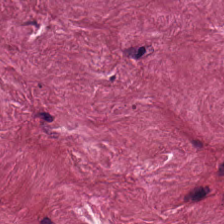Hematoxylin-and-eosin stained section — Predominantly tumor stroma.
